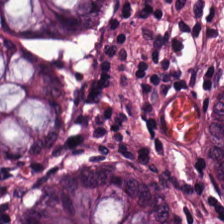H&E stain. Predominant tissue: normal colonic mucosa.
